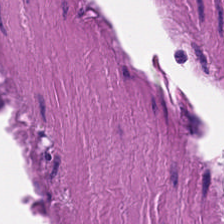Muscularis.
